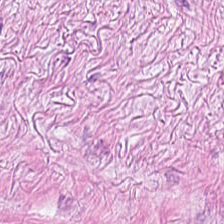Hematoxylin and eosin. Q: What is the predominant tissue type?
A: The field shows tumor-associated stroma.
